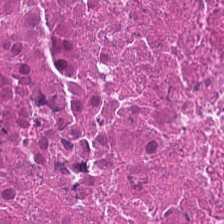Hematoxylin-and-eosin stained section · 0.5 microns per pixel.
Q: What is the predominant tissue type?
A: The field shows debris.
